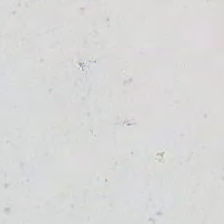{"content": "empty background"}
